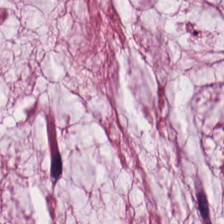Hematoxylin-and-eosin stained section · whole-slide-image patch.
Mucin.
